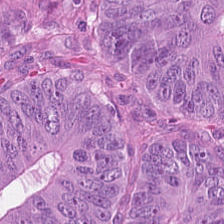0.5 µm per pixel; H&E-stained tissue section — Q: What is shown in this field?
A: The field shows colorectal adenocarcinoma.
